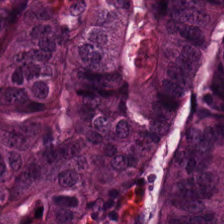Hematoxylin-and-eosin stained section · 224×224 px tile — Predominantly colorectal adenocarcinoma.
